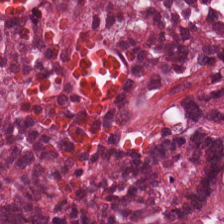20× equivalent magnification; 224×224 pixel tile; hematoxylin and eosin. Q: What tissue type is shown here?
A: This is debris.
